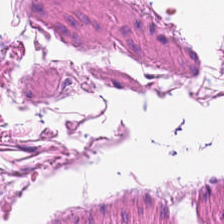H&E-stained tissue section — {"tissue_type": "smooth-muscle tissue"}
